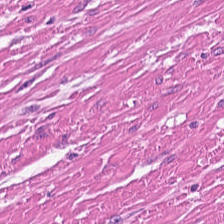Predominantly smooth-muscle tissue.
